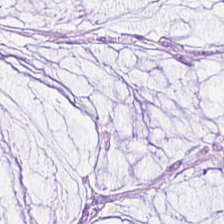224×224 px tile · H&E stain — This patch shows mucus.
